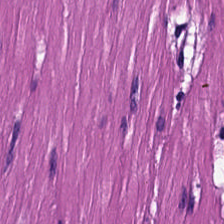Hematoxylin and eosin. This patch shows muscularis.
